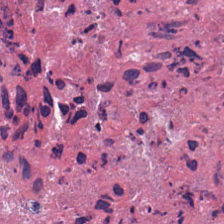H&E.
Predominant tissue — necrotic debris.
